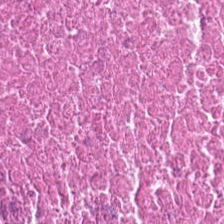Q: Classify this patch.
A: The field shows necrotic debris.
